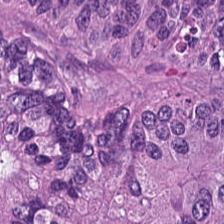Showing malignant epithelium.
